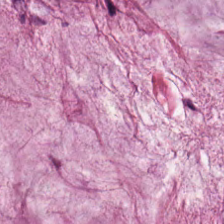This patch shows mucin.
